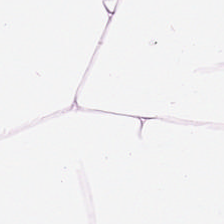H&E.
Predominant tissue — adipose.
